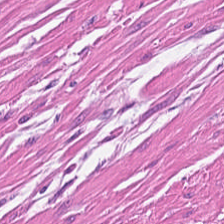H&E-stained tissue section — Classification — smooth-muscle tissue.
